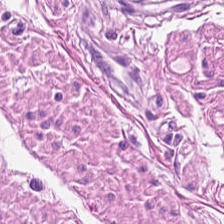Tissue: smooth muscle.
